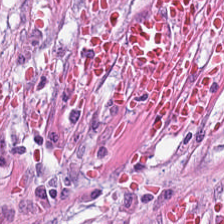H&E-stained tissue section — Histology — tumor stroma.
